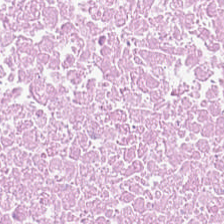H&E stain — The tissue is necrotic debris.
